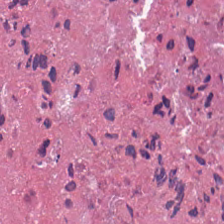Classification: necrotic debris.
